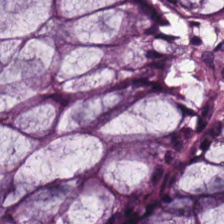Formalin-fixed paraffin-embedded section · H&E · WSI patch.
{"tissue_type": "benign colonic mucosa"}
